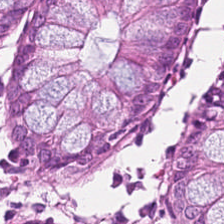Predominant tissue = non-neoplastic colon mucosa.
